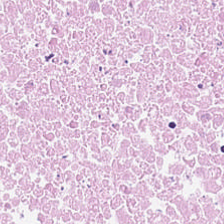Hematoxylin-and-eosin stained section. FFPE — Debris.
